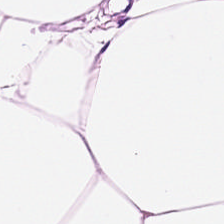Whole-slide-image patch · H&E · 20× equivalent magnification. Predominant tissue — fat tissue.
